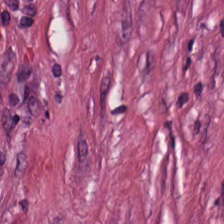The tissue here is tumor stroma.
